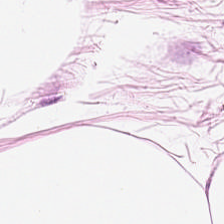This field is adipose.
